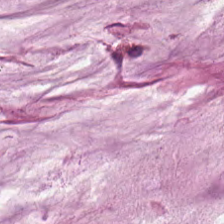Hematoxylin-and-eosin stained section — The predominant tissue is mucin.
